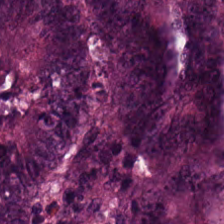H&E-stained tissue section — The tissue class is tumor epithelium.
